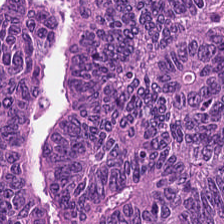The predominant tissue is colorectal adenocarcinoma epithelium.
